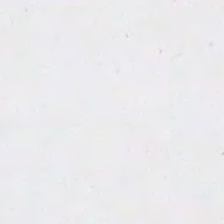H&E.
This field is background (no tissue).
